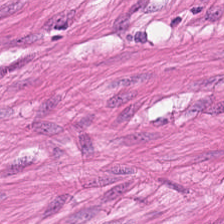Hematoxylin-and-eosin stained section; 224×224 pixel tile — Impression → muscularis.
